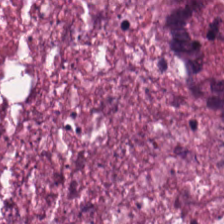Stain: H&E stain.
Resolution: 0.5 µm/px.
Acquisition: brightfield microscopy.
Tissue type: debris.
